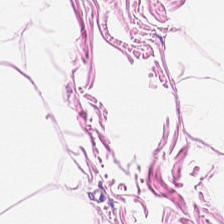0.5 µm/px; formalin-fixed paraffin-embedded section; H&E-stained tissue section — The tissue is adipose.
